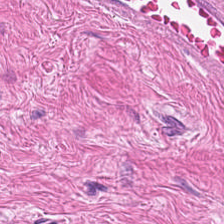Hematoxylin-and-eosin stained section.
Q: What is the predominant tissue type?
A: The field shows smooth muscle.
